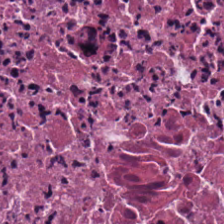Stain: H&E stain.
Tissue type: necrotic debris.
